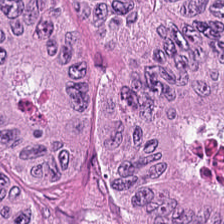H&E.
The predominant tissue is adenocarcinoma.
